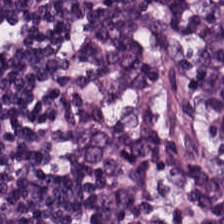H&E-stained section; the field shows lymphocytic infiltrate.
